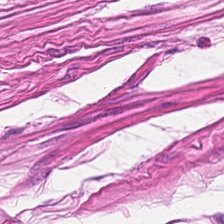H&E-stained tissue section — Showing smooth muscle.
